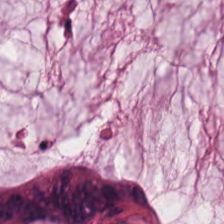H&E. This patch shows mucus.
